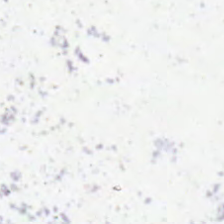H&E stain. FFPE tissue section.
Classification = no tissue.
